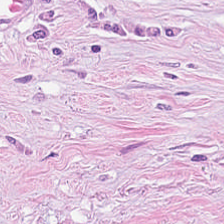H&E-stained tissue section — Predominantly tumor-associated stroma.
